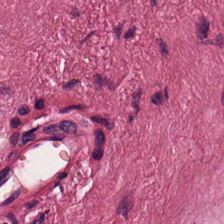Hematoxylin-and-eosin stained section; 0.5 µm/px — Classification = desmoplastic stroma.
